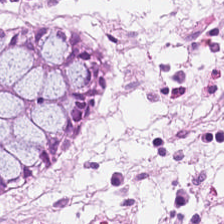Stain: H&E stain.
Predominant tissue: benign colonic mucosa.
